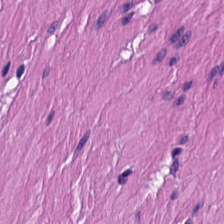Hematoxylin and eosin. The tissue class is smooth muscle.
